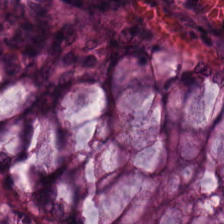Stain: hematoxylin and eosin.
Tile size: 224×224 pixel tile.
Classification: normal colonic mucosa.
